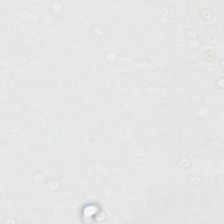0.5 microns per pixel. Hematoxylin and eosin — Field content = no tissue.
